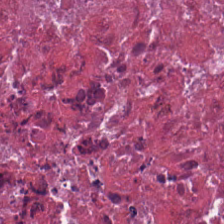H&E. This field is debris.
